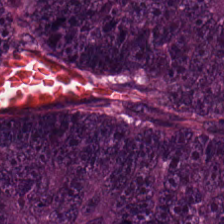H&E stain. Classification = malignant epithelium.
